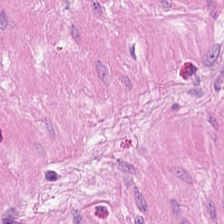Hematoxylin and eosin — The predominant tissue is muscularis.
